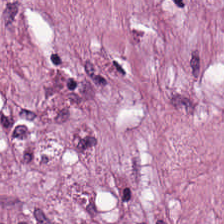Hematoxylin-and-eosin stained section. WSI patch. Impression → tumor-associated stroma.
